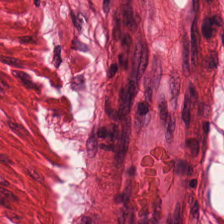H&E-stained tissue section — The tissue is muscularis.
